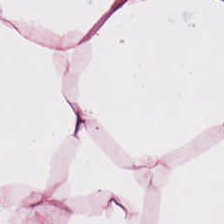H&E; formalin-fixed paraffin-embedded section. Tissue class — adipose tissue.
